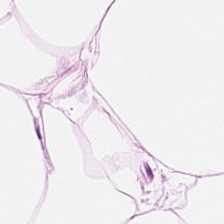Hematoxylin-and-eosin stained section — Fat tissue.
